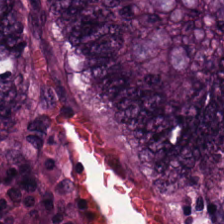Stain: H&E.
Resolution: 20× equivalent magnification.
Predominant tissue: malignant epithelium.
